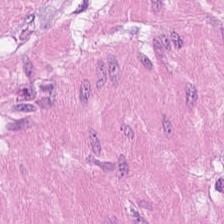H&E.
Predominantly smooth muscle.
